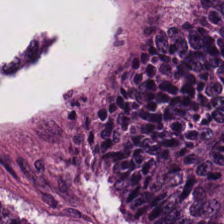H&E stain.
This patch shows colorectal adenocarcinoma.
